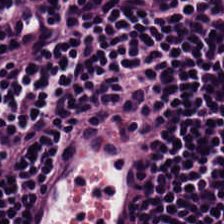Hematoxylin and eosin. This field is lymphocytes.
